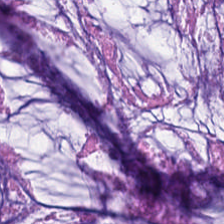Q: What tissue type is shown here?
A: It is extracellular mucin.
